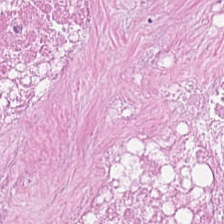Impression → necrotic debris.
